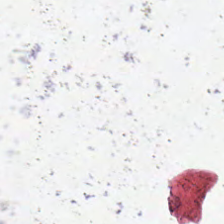Hematoxylin-and-eosin stained section; 224×224 px patch.
Classification = background.
